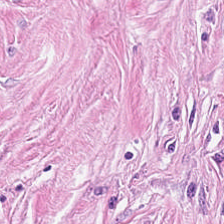Q: What is the predominant tissue type?
A: It is desmoplastic stroma.
